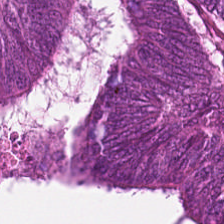Stain: hematoxylin-and-eosin stained section.
Tissue: malignant epithelium.
